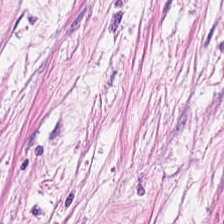H&E-stained tissue section.
Histology — tumor-associated stroma.
